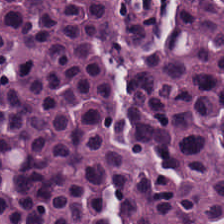Q: What type of tissue is this?
A: Lymphocyte aggregate.
